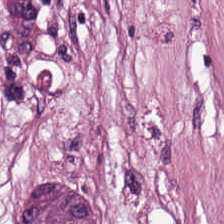H&E stain — Showing desmoplastic stroma.
